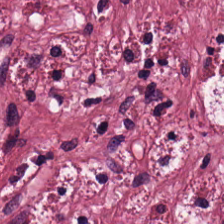224×224 px tile. H&E-stained tissue section.
This patch shows tumor-associated stroma.
